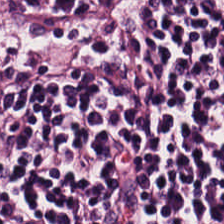Stain: hematoxylin-and-eosin stained section.
Acquisition: brightfield.
Tissue type: lymphocytes.
